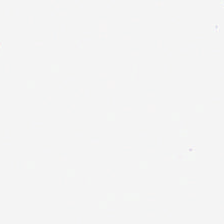FFPE. H&E stain.
{"content": "background (no tissue)"}
